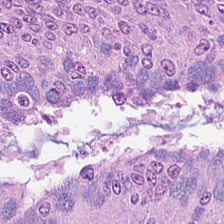Q: Classify this patch.
A: It is adenocarcinoma.
